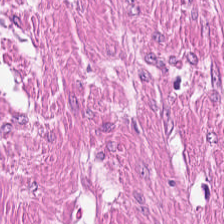Hematoxylin-and-eosin section: smooth-muscle tissue.
